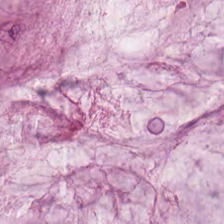Stain: H&E.
Predominant tissue: mucus.
